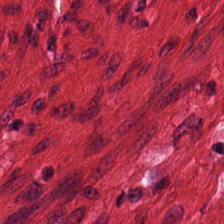Predominantly muscularis.
